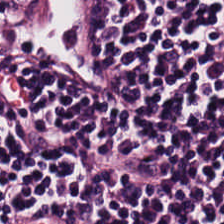Finding — lymphoid infiltrate.
